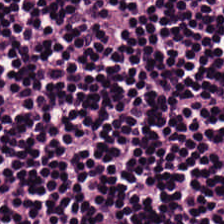H&E stain.
Lymphocytic infiltrate.
